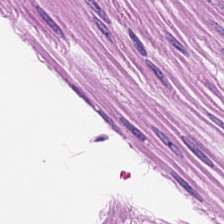Hematoxylin-and-eosin stained section · 0.5 microns per pixel.
The classification is smooth muscle.
